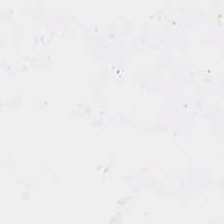Hematoxylin and eosin; brightfield.
The classification is background.
